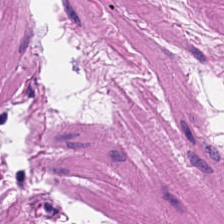224×224 pixel tile. 20× equivalent magnification. H&E — Q: What type of tissue is this?
A: The field shows muscularis.
